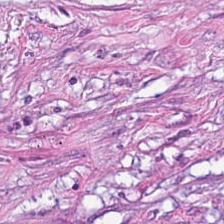Brightfield microscopy · hematoxylin-and-eosin stained section. Q: Classify this patch.
A: This is desmoplastic stroma.
